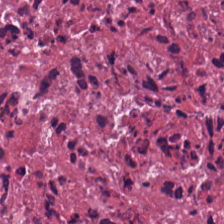H&E-stained section; the field shows cellular debris.
